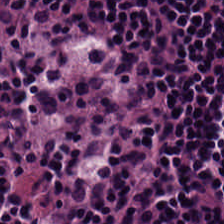H&E patch showing lymphocytic infiltrate.
